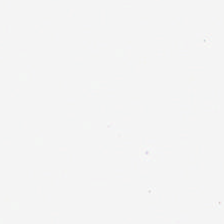Hematoxylin and eosin · formalin-fixed paraffin-embedded section.
Q: What does this patch show?
A: The field shows no tissue.
